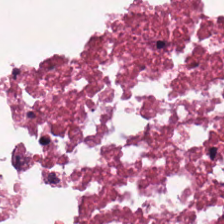Whole-slide-image patch · H&E-stained tissue section.
Cellular debris.
